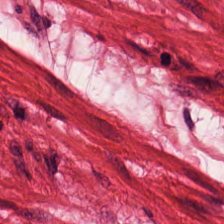H&E. Tissue: smooth muscle.
